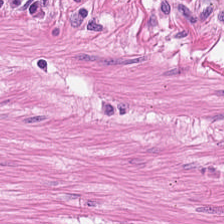H&E-stained tissue section.
The tissue is smooth-muscle tissue.
